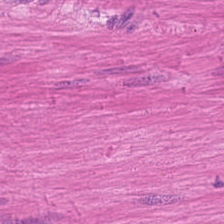This patch shows smooth-muscle tissue.
